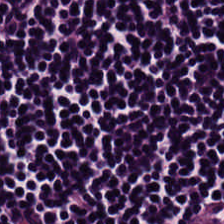H&E. Predominantly lymphocyte aggregate.
